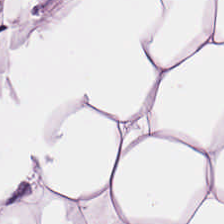Q: Identify the tissue.
A: It is adipocytes.
